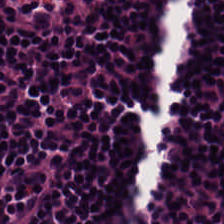H&E-stained tissue section. Tissue type: lymphocyte aggregate.
